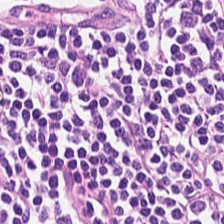Stain: H&E.
Acquisition: brightfield microscopy.
Tile size: 224×224 px patch.
Classification: lymphoid infiltrate.
